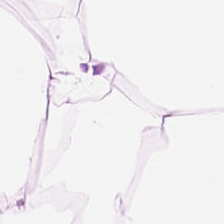FFPE tissue section; H&E-stained tissue section — Tissue type: adipocytes.
